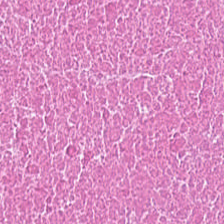Hematoxylin-and-eosin stained section — {"tissue_type": "cellular debris"}
